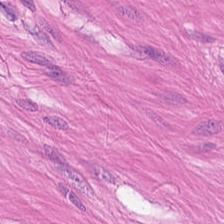H&E · 0.5 microns per pixel — Showing smooth muscle.
